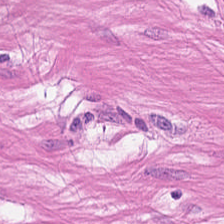H&E patch showing smooth-muscle tissue.
